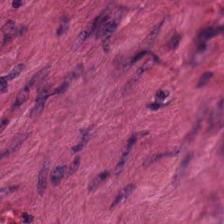Q: What is shown in this field?
A: This is smooth-muscle tissue.
